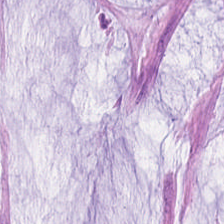H&E-stained tissue section.
This field is mucin.
